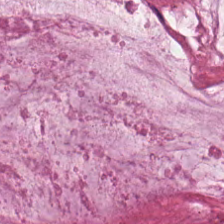WSI patch. H&E.
This field is extracellular mucin.
